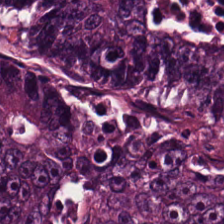H&E-stained tissue section — Finding — malignant epithelium.
